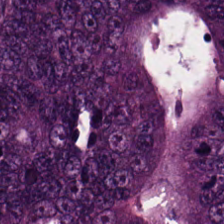Hematoxylin-and-eosin stained section; WSI patch; 224×224 px tile — Classification — malignant epithelium.
